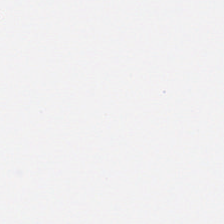Q: What is shown in this field?
A: This is empty background.
